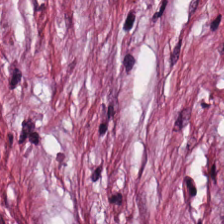Hematoxylin and eosin.
This field is tumor stroma.
